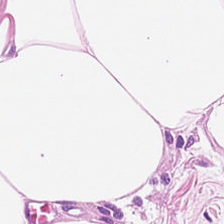Stain: hematoxylin-and-eosin stained section.
Tissue type: adipose tissue.
